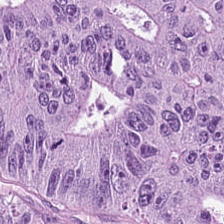Q: What tissue type is shown here?
A: Colorectal adenocarcinoma epithelium.
